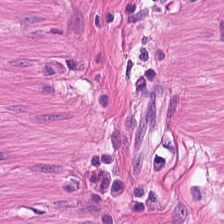Tissue: smooth muscle.
